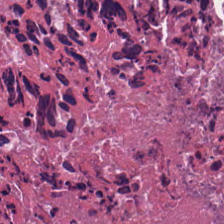H&E stain. 0.5 µm/px. FFPE. Showing necrotic debris.
